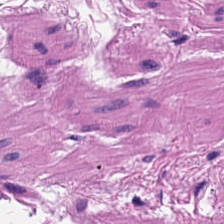The tissue here is smooth muscle.
